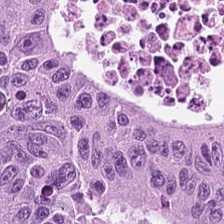H&E stain · FFPE tissue section · 224×224 pixel tile.
Predominant tissue = adenocarcinoma.
